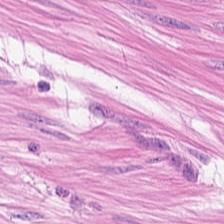Impression → smooth-muscle tissue.
